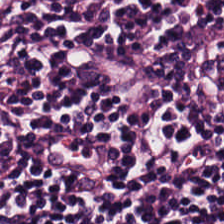Stain: H&E.
Tissue class: lymphocytic infiltrate.
